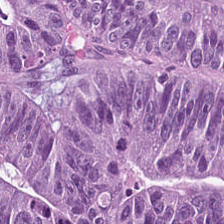0.5 µm/px. H&E stain. Tissue type — tumor epithelium.
